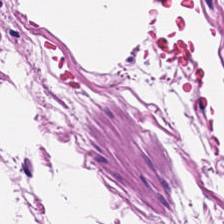WSI patch; H&E stain. Predominantly smooth muscle.
